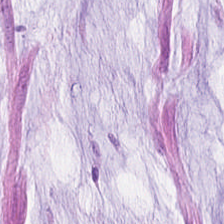H&E-stained tissue section.
Mucus.
